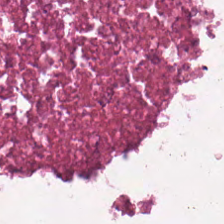H&E; 0.5 µm per pixel — The tissue here is cellular debris.
